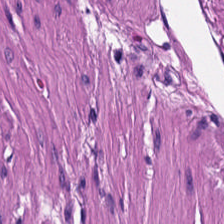Stain: hematoxylin and eosin.
Resolution: 0.5 µm per pixel.
Classification: muscularis.
